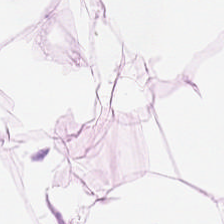Tissue type = adipocytes.
